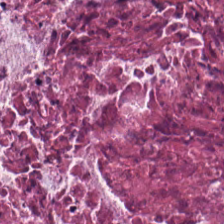Whole-slide-image patch · hematoxylin-and-eosin stained section. Tissue = necrotic debris.
